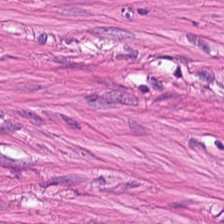H&E — muscularis.
